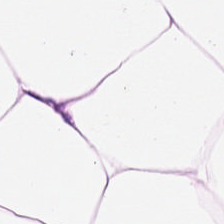FFPE tissue section; H&E stain.
This patch shows fat tissue.
